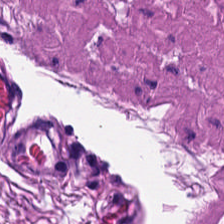H&E stain. Finding → smooth-muscle tissue.
